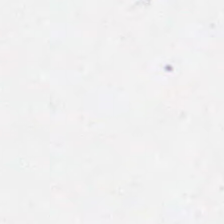H&E; 20× equivalent magnification; brightfield.
Q: What does this patch show?
A: Empty background.
